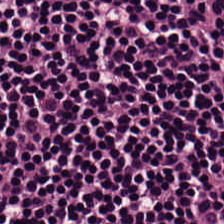Stain: hematoxylin and eosin.
Resolution: 0.5 microns per pixel.
Classification: lymphoid infiltrate.
